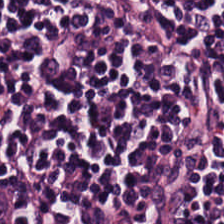H&E stain; 224×224 px patch; 20× equivalent magnification — The predominant tissue is lymphoid infiltrate.
